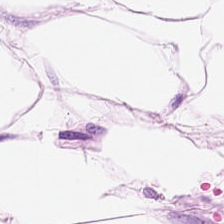Hematoxylin-and-eosin stained section; FFPE tissue section.
This field is adipose.
